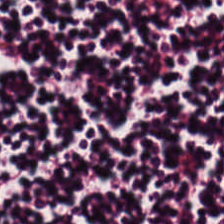Hematoxylin and eosin. {"tissue_type": "lymphocyte aggregate"}
